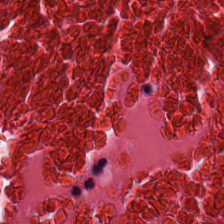Hematoxylin-and-eosin stained section.
Classification = debris.
